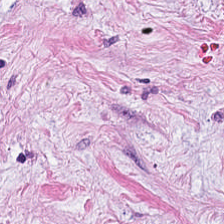224×224 px tile; whole-slide-image patch; H&E. Q: Classify this patch.
A: It is tumor stroma.
